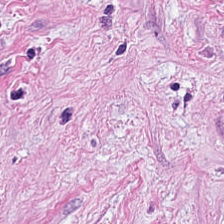H&E stain. 0.5 µm per pixel — Impression → desmoplastic stroma.
